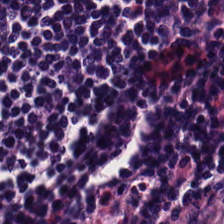H&E stain — Q: What does this patch show?
A: This is lymphoid infiltrate.
